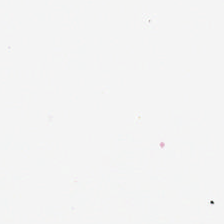Field content = background.
